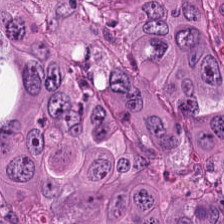WSI patch · 0.5 µm per pixel · hematoxylin-and-eosin stained section. Q: What tissue type is shown here?
A: Colorectal adenocarcinoma epithelium.
